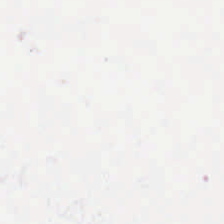H&E. WSI patch — Classification — empty background.
